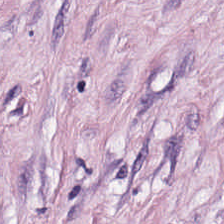H&E-stained tissue section — Predominant tissue — tumor stroma.
